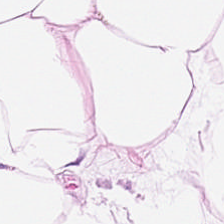FFPE; 0.5 µm/px; hematoxylin-and-eosin stained section. Q: What type of tissue is this?
A: Fat tissue.
